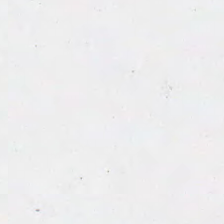Stain: hematoxylin and eosin.
Classification: no tissue.
